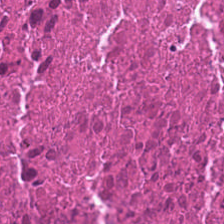Classification — debris.
